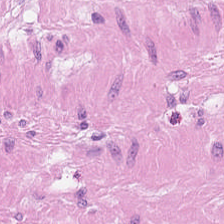The tissue here is muscularis.
